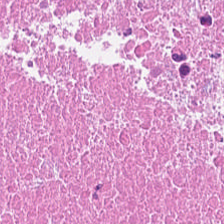Stain: H&E-stained tissue section.
Acquisition: whole-slide-image patch.
Tissue: debris.
